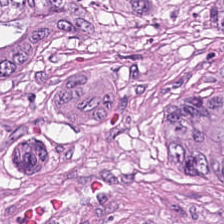Stain: H&E-stained tissue section.
Tissue: malignant epithelium.
